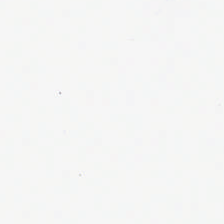224×224 px patch; H&E; brightfield microscopy — No tissue present; background only.
